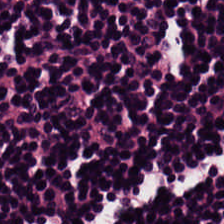H&E-stained tissue section — Predominant tissue — lymphocytic infiltrate.
